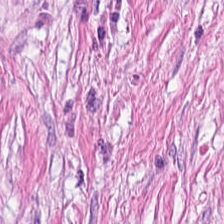Hematoxylin and eosin.
{"tissue_type": "tumor-associated stroma"}
